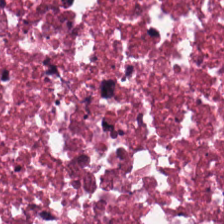224×224 pixel tile. Hematoxylin and eosin.
Histology — necrotic debris.
